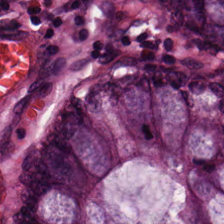Hematoxylin and eosin. 0.5 µm per pixel — Histology — benign colonic mucosa.
